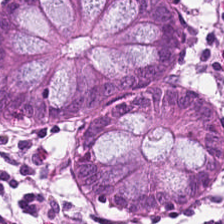{"tissue_type": "non-neoplastic colon mucosa"}
